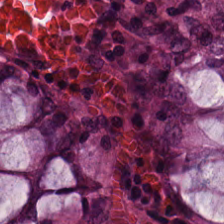Hematoxylin-and-eosin stained section. Tissue type = normal colonic mucosa.
